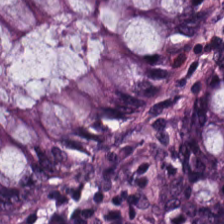Hematoxylin-and-eosin stained section. The tissue class is non-neoplastic colon mucosa.
